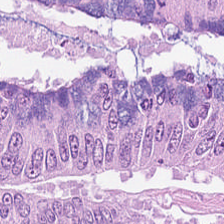Stain: H&E stain.
Preparation: FFPE tissue section.
Tissue class: colorectal adenocarcinoma.
